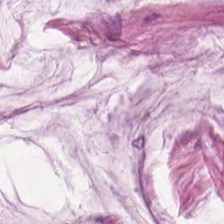H&E-stained tissue section · WSI patch.
Predominantly extracellular mucin.
